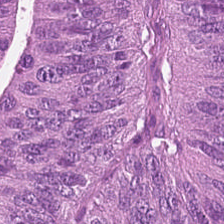Hematoxylin-and-eosin stained section — Predominant tissue = colorectal adenocarcinoma.
